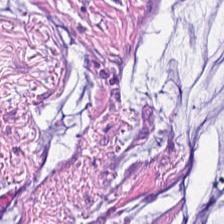The classification is tumor-associated stroma.
